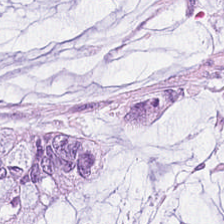Hematoxylin-and-eosin stained section. The tissue is mucin.
